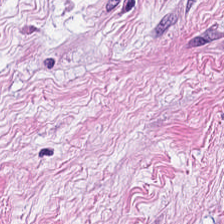H&E.
This field is tumor stroma.
